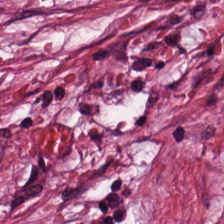Q: Identify the tissue.
A: It is tumor stroma.
